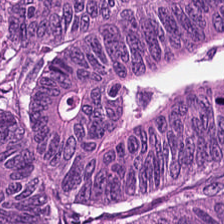H&E stain.
Q: Classify this patch.
A: Colorectal adenocarcinoma epithelium.
